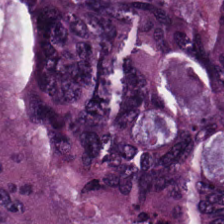H&E-stained tissue section showing colorectal adenocarcinoma epithelium.
